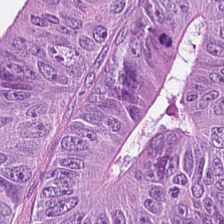H&E stain — Predominantly tumor epithelium.
